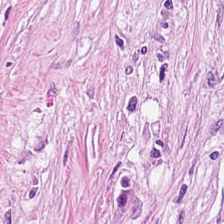H&E-stained tissue section. Brightfield. 0.5 microns per pixel.
Tissue — tumor stroma.
